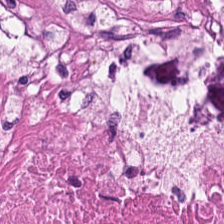{"tissue_type": "necrotic debris"}
